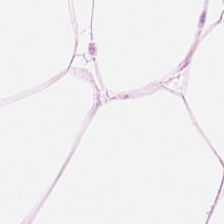H&E · 0.5 microns per pixel · 224×224 px tile — Tissue — adipocytes.
